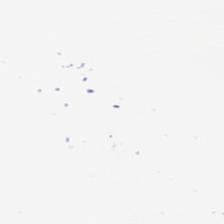Hematoxylin-and-eosin stained section. 224×224 px tile — Histology → background (no tissue).
